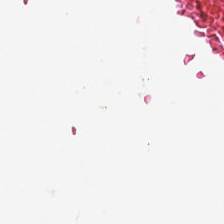Brightfield; H&E — {"content": "background (no tissue)"}
